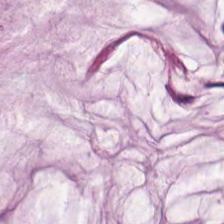H&E — Q: What is shown here?
A: The field shows mucin.
